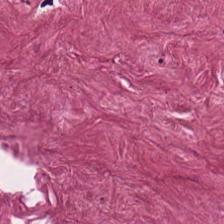H&E.
This patch shows cancer-associated stroma.
